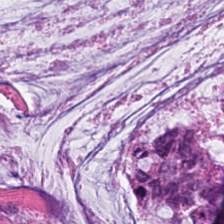H&E-stained tissue section · FFPE.
The predominant tissue is mucus.
